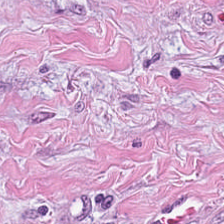WSI patch; H&E stain.
This patch shows desmoplastic stroma.
